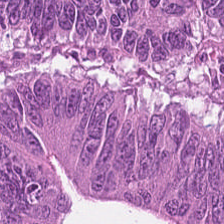Q: What tissue type is shown here?
A: This is malignant epithelium.
